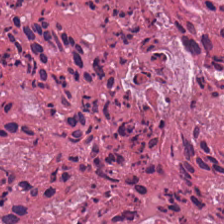Hematoxylin and eosin — Q: What is shown in this field?
A: It is cellular debris.
